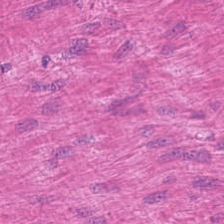This patch shows smooth-muscle tissue.
